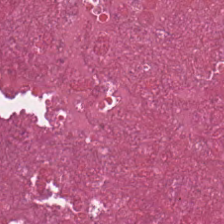H&E — Q: What type of tissue is this?
A: This is cellular debris.
